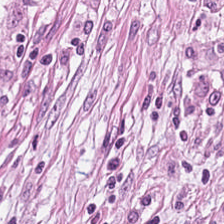Tissue class — cancer-associated stroma.
